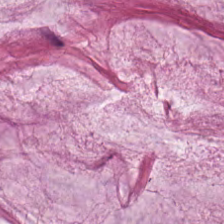Hematoxylin and eosin. Q: Identify the tissue.
A: The field shows mucus.
